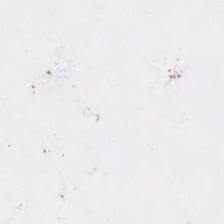Stain: H&E stain.
Content: no tissue.
